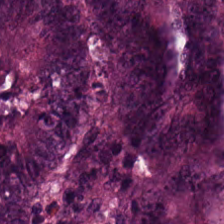FFPE tissue section. Whole-slide-image patch. Hematoxylin-and-eosin stained section.
Q: Classify this patch.
A: This is malignant epithelium.
